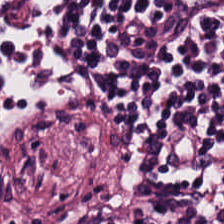The predominant tissue is lymphoid infiltrate.
